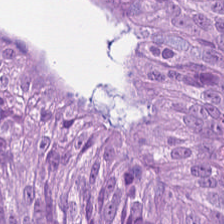Hematoxylin and eosin. Q: What is shown in this field?
A: This is malignant epithelium.
